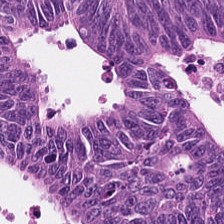H&E stain.
This field is colorectal adenocarcinoma.
